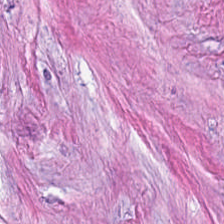H&E stain; whole-slide-image patch. Predominantly tumor stroma.
